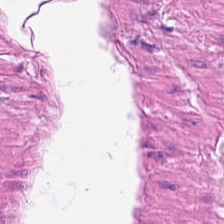0.5 microns per pixel · brightfield · H&E.
This field is muscularis.
